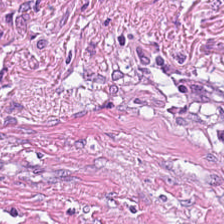Stain: H&E stain.
Preparation: FFPE.
Predominant tissue: cancer-associated stroma.
